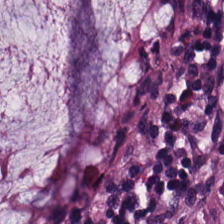Hematoxylin-and-eosin stained section. Q: What tissue type is shown here?
A: It is normal colonic mucosa.
